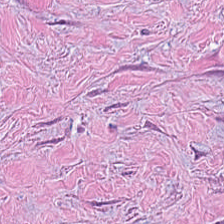H&E. Tumor-associated stroma.
